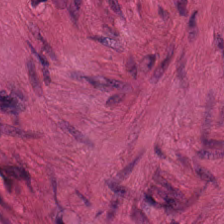H&E-stained tissue section; 0.5 µm per pixel; 224×224 pixel tile. Smooth muscle.
